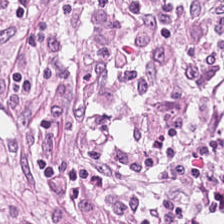224×224 px patch · H&E-stained tissue section.
Tissue = desmoplastic stroma.
